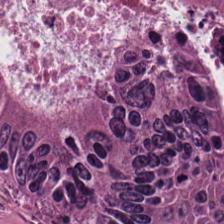224×224 px patch · H&E stain — Finding — colorectal adenocarcinoma.
